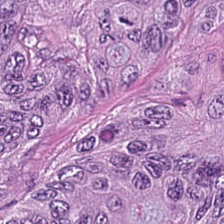Stain: H&E.
Tissue type: colorectal adenocarcinoma epithelium.
